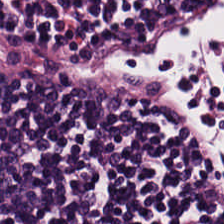Hematoxylin and eosin — Showing lymphocytes.
